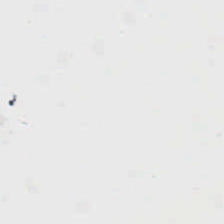Hematoxylin-and-eosin stained section; FFPE.
No tissue present; background only.
